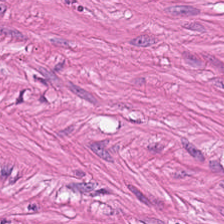Tissue class = smooth-muscle tissue.
